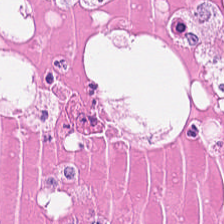H&E — Q: What is the predominant tissue type?
A: This is debris.
